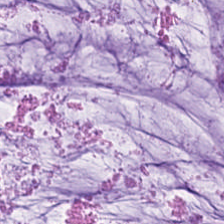0.5 µm per pixel. Hematoxylin and eosin.
This field is mucus.
